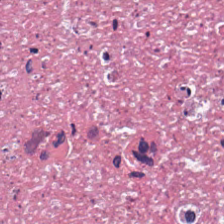Tissue type = necrotic debris.
